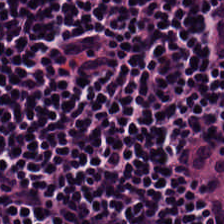Stain: H&E.
Resolution: 20× equivalent magnification.
Predominant tissue: lymphocytes.
